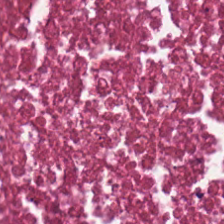Hematoxylin-and-eosin stained section; formalin-fixed paraffin-embedded section — The tissue here is debris.
